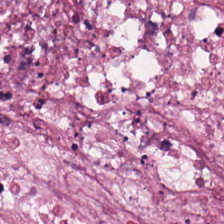Hematoxylin-and-eosin stained section — The tissue is necrotic debris.
